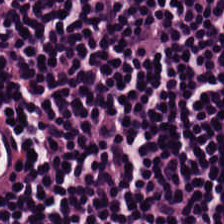H&E stain.
The predominant tissue is lymphocyte aggregate.
